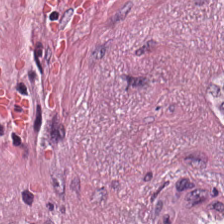0.5 µm per pixel. H&E stain.
This patch shows tumor stroma.
